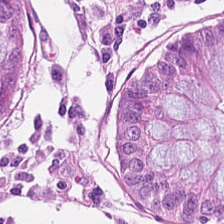Hematoxylin and eosin. Brightfield.
Predominantly normal colon mucosa.
